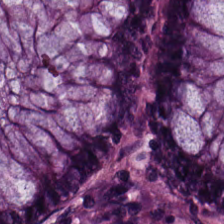H&E-stained tissue section.
{"tissue_type": "non-neoplastic colon mucosa"}
